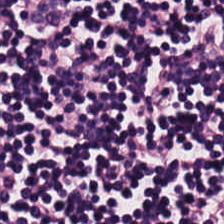Hematoxylin-and-eosin stained section. Brightfield. 0.5 microns per pixel — This patch shows lymphocytes.
